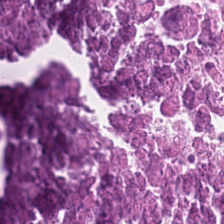224×224 pixel tile · H&E · WSI patch. Finding — necrotic debris.
